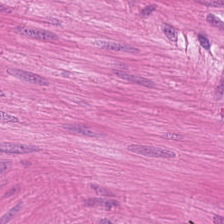Hematoxylin and eosin — Predominant tissue — smooth-muscle tissue.
